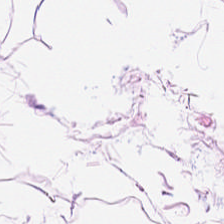Stain: hematoxylin and eosin.
Predominant tissue: adipocytes.
